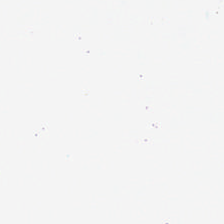Hematoxylin-and-eosin stained section. Brightfield microscopy. 0.5 µm/px.
Content: empty background.
